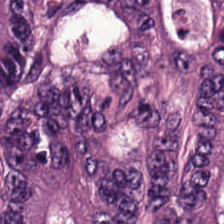H&E.
Q: What is shown here?
A: This is adenocarcinoma.
